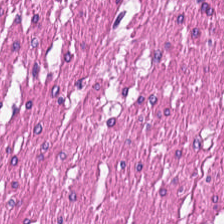WSI patch; H&E-stained tissue section.
Classification: muscularis.
